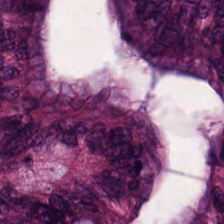Stain: hematoxylin and eosin.
Tile size: 224×224 px tile.
Resolution: 20× equivalent magnification.
Predominant tissue: colorectal adenocarcinoma epithelium.
